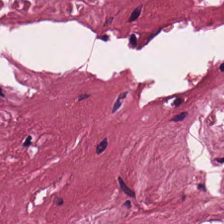FFPE tissue section · H&E · 20× equivalent magnification — Predominant tissue: tumor-associated stroma.
